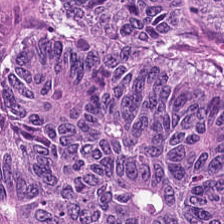Formalin-fixed paraffin-embedded section; H&E stain; 224×224 px tile. Tissue class = colorectal adenocarcinoma.
